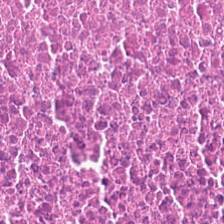0.5 microns per pixel; H&E stain.
Tissue type: debris.
